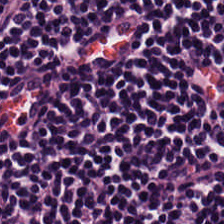Formalin-fixed paraffin-embedded section; H&E-stained tissue section — {"tissue_type": "lymphocytes"}
